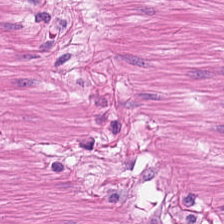Stain: H&E stain.
Resolution: 0.5 µm/px.
Tissue type: muscularis.
